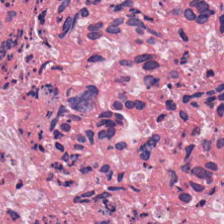Brightfield; H&E stain; 0.5 µm per pixel.
The tissue class is cellular debris.
